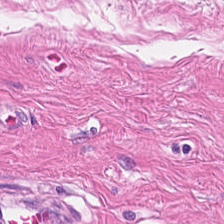Hematoxylin-and-eosin stained section. {"tissue_type": "smooth muscle"}
